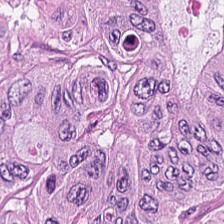H&E-stained tissue section · 0.5 µm/px.
Q: Classify this patch.
A: This is colorectal adenocarcinoma.
